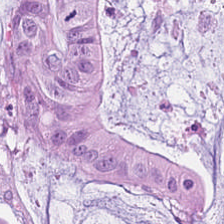H&E-stained tissue section.
Showing extracellular mucin.
